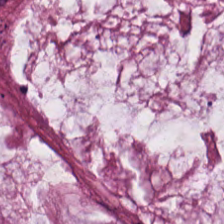H&E-stained tissue section.
Classification = extracellular mucin.
